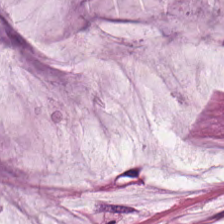Hematoxylin-and-eosin stained section; FFPE; 0.5 µm/px. Q: What type of tissue is this?
A: It is mucin.
